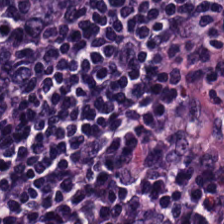Tissue — lymphoid infiltrate.
